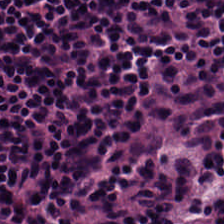Hematoxylin and eosin. Formalin-fixed paraffin-embedded section. WSI patch — Predominant tissue — lymphocytic infiltrate.
